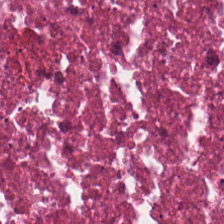H&E-stained tissue section.
Impression → debris.
